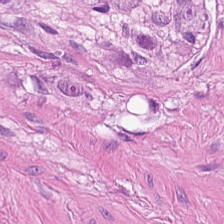Hematoxylin-and-eosin stained section. Predominantly muscularis.
